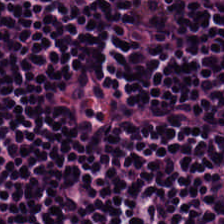Hematoxylin and eosin · brightfield microscopy.
Predominantly lymphocytic infiltrate.
